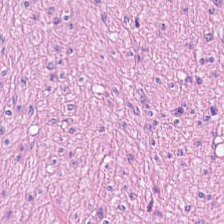Hematoxylin and eosin.
Q: Classify this patch.
A: It is muscularis.
